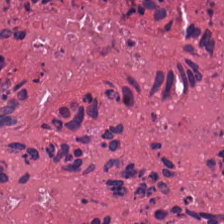H&E-stained tissue section.
Tissue = necrotic debris.
